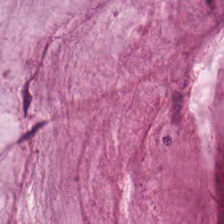Histology — mucin.
